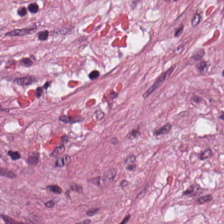Hematoxylin and eosin — Histology — desmoplastic stroma.
